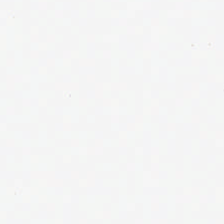H&E-stained tissue section — Background — no tissue in this field.
